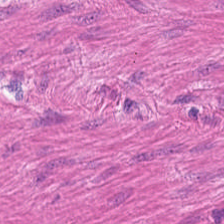Q: What tissue is shown?
A: This is muscularis.
